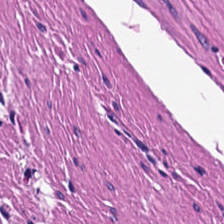0.5 µm/px. Hematoxylin and eosin.
Smooth muscle.
